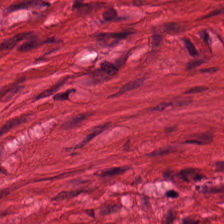Q: What does this patch show?
A: This is muscularis.
